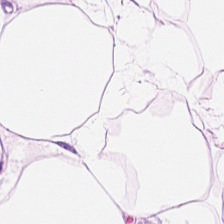H&E stain. Whole-slide-image patch. FFPE.
Q: What is shown here?
A: This is adipose.
